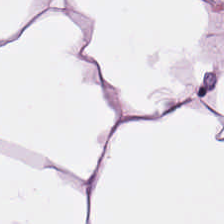Hematoxylin and eosin; 0.5 µm/px.
Impression → fat tissue.
